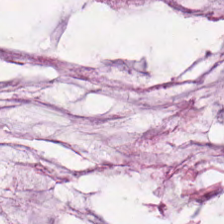Q: What tissue type is shown here?
A: This is mucus.
